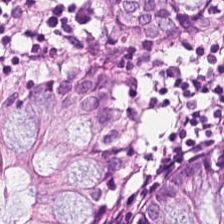Stain: H&E-stained tissue section.
Acquisition: brightfield.
Tile size: 224×224 px tile.
Classification: normal colon mucosa.
